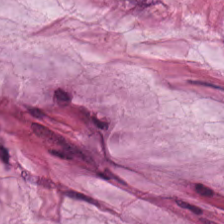H&E-stained tissue section; 224×224 px tile. This patch shows mucus.
